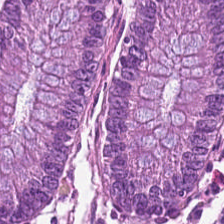H&E. Q: What type of tissue is this?
A: Benign colonic mucosa.
